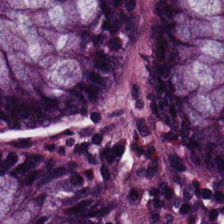The predominant tissue is normal colon mucosa.
